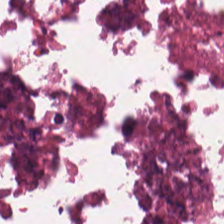H&E stain.
The classification is cellular debris.
